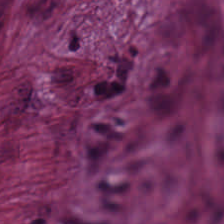H&E — Histology → cancer-associated stroma.
